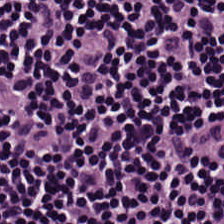H&E. Whole-slide-image patch. 0.5 µm/px — Impression → lymphocyte aggregate.
